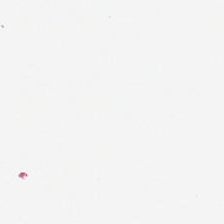H&E stain. 0.5 µm/px. 224×224 pixel tile. Background (no tissue).
